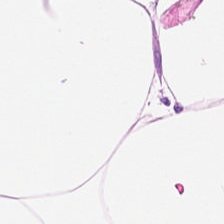Brightfield microscopy. Hematoxylin-and-eosin stained section. 224×224 pixel tile.
This patch shows fat tissue.
